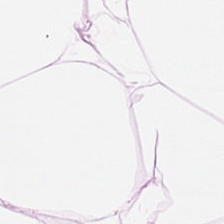Whole-slide-image patch. 20× equivalent magnification. Hematoxylin-and-eosin stained section. Tissue class = adipose.
